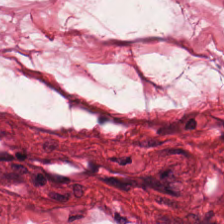Stain: H&E-stained tissue section.
Predominant tissue: smooth muscle.
